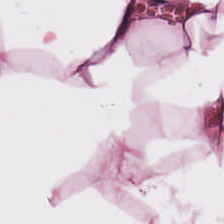H&E-stained tissue section; 20× equivalent magnification — Showing adipocytes.
